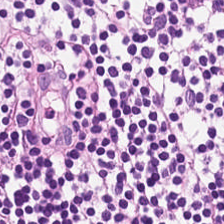20× equivalent magnification · hematoxylin-and-eosin stained section. {"tissue_type": "lymphocyte aggregate"}
